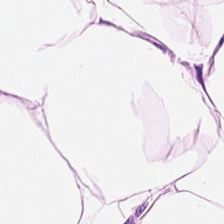This patch shows adipose tissue.
